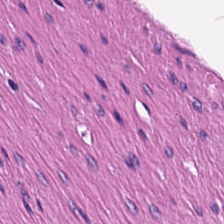Hematoxylin-and-eosin stained section · 224×224 pixel tile. Predominantly smooth-muscle tissue.
